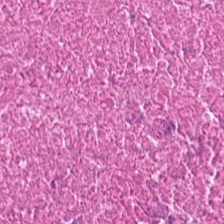FFPE tissue section; hematoxylin and eosin — This patch shows cellular debris.
